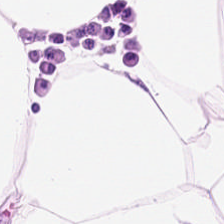Hematoxylin and eosin — This field is fat tissue.
